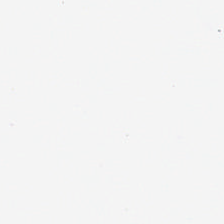Background — no tissue in this field.
